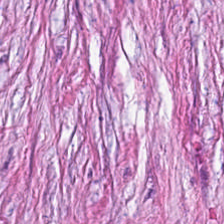Hematoxylin and eosin · 0.5 microns per pixel — Q: What does this patch show?
A: This is desmoplastic stroma.
